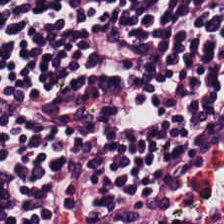H&E.
Tissue type — lymphocytic infiltrate.
